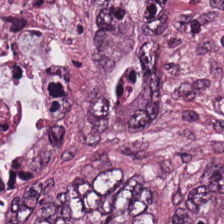H&E stain — Tissue — malignant epithelium.
